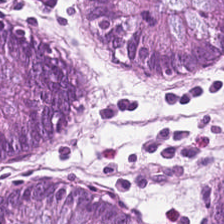H&E-stained tissue section. 0.5 microns per pixel. Showing normal colonic mucosa.
